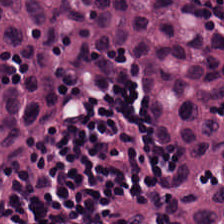This field is lymphocyte aggregate.
